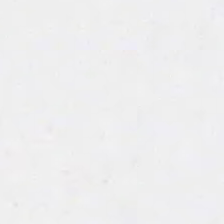Stain: hematoxylin-and-eosin stained section.
Resolution: 20× equivalent magnification.
Classification: no tissue.
